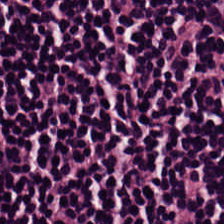H&E stain. Q: What is the predominant tissue type?
A: This is lymphocyte aggregate.
